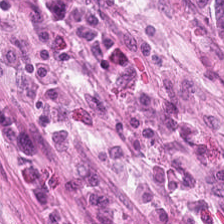Stain: H&E stain.
Classification: normal colonic mucosa.
